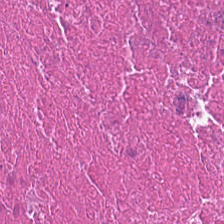H&E-stained tissue section showing debris.
